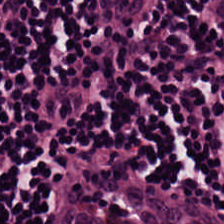H&E patch showing lymphocytes.
